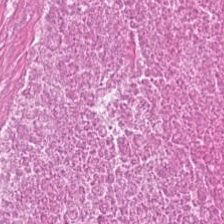H&E patch showing debris.
